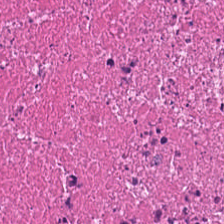H&E stain — Predominant tissue — debris.
